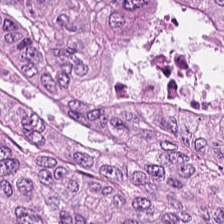Hematoxylin-and-eosin stained section. Predominantly colorectal adenocarcinoma epithelium.
